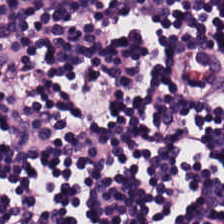Q: What does this patch show?
A: Lymphocytes.
